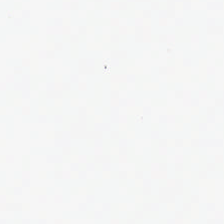H&E stain. Q: What does this patch show?
A: The field shows no tissue.
